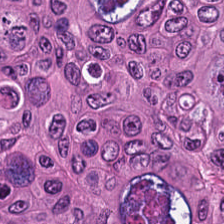Impression — colorectal adenocarcinoma.
